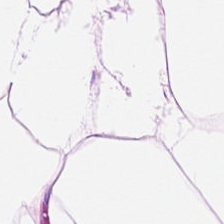Hematoxylin and eosin.
The tissue is adipocytes.
